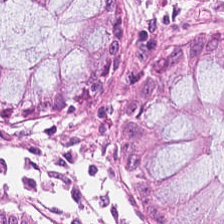H&E. This field is normal colonic mucosa.
